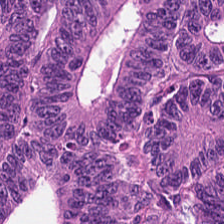Stain: H&E-stained tissue section.
Preparation: formalin-fixed paraffin-embedded section.
Tissue: colorectal adenocarcinoma epithelium.
